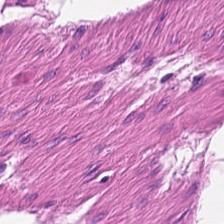Hematoxylin and eosin · 0.5 µm per pixel. Q: What does this patch show?
A: Smooth-muscle tissue.
